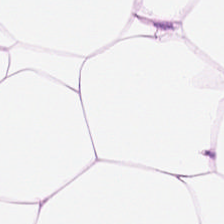{"tissue_type": "adipose tissue"}
